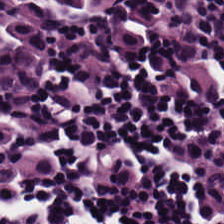H&E stain — The tissue here is lymphoid infiltrate.
